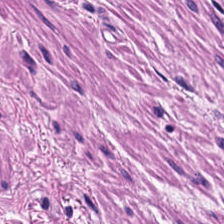Q: Classify this patch.
A: Muscularis.
